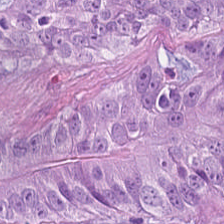H&E-stained tissue section — Showing tumor epithelium.
